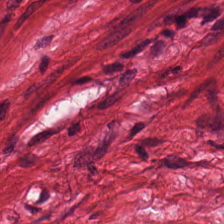Stain: H&E.
Preparation: FFPE tissue section.
Acquisition: brightfield microscopy.
Classification: muscularis.
